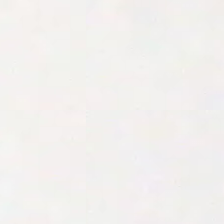Hematoxylin-and-eosin stained section. Field content: no tissue.
